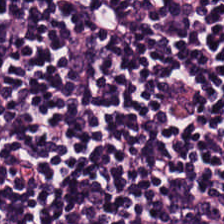Hematoxylin-and-eosin stained section — Classification: lymphocyte aggregate.
